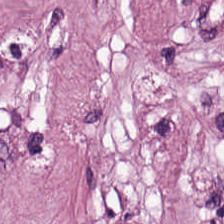224×224 px patch · H&E stain. The tissue is tumor stroma.
